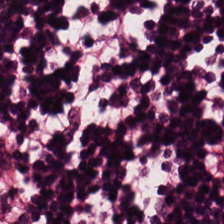Hematoxylin and eosin.
The tissue here is lymphocyte aggregate.
